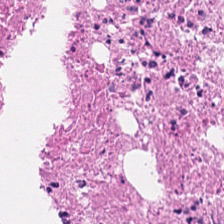Hematoxylin and eosin.
Predominantly necrotic debris.
